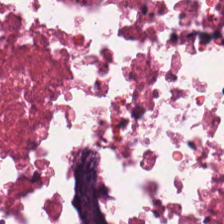Hematoxylin and eosin; WSI patch; 0.5 microns per pixel.
Tissue type — debris.
